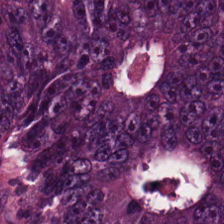H&E-stained tissue section; 224×224 pixel tile. Tissue — tumor epithelium.
